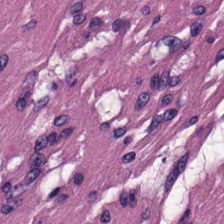Finding — smooth-muscle tissue.
